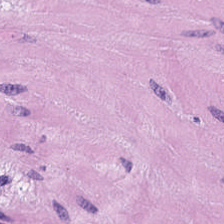Hematoxylin and eosin. This field is muscularis.
